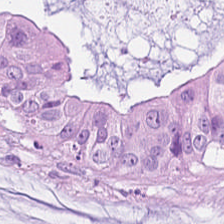H&E-stained tissue section showing mucus.
